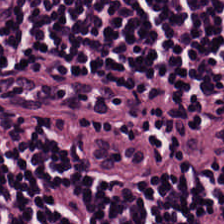H&E-stained tissue section.
Impression — lymphoid infiltrate.
